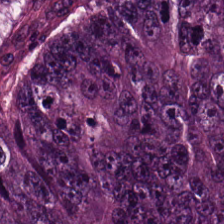Brightfield microscopy · 0.5 µm per pixel · hematoxylin-and-eosin stained section. This field is colorectal adenocarcinoma epithelium.
